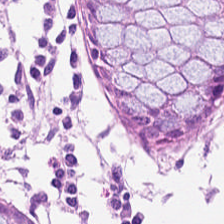Hematoxylin-and-eosin stained section.
Benign colonic mucosa.
